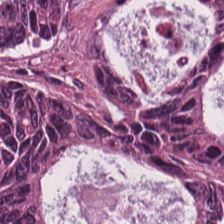H&E — Finding → adenocarcinoma.
